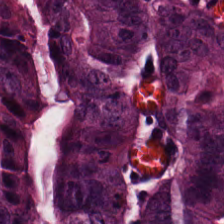H&E stain. The tissue here is malignant epithelium.
